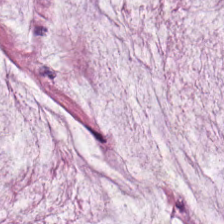224×224 px patch. H&E stain.
This patch shows mucus.
